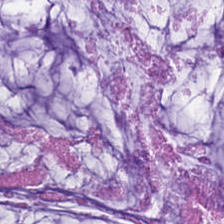0.5 µm per pixel · H&E stain — Finding → mucus.
